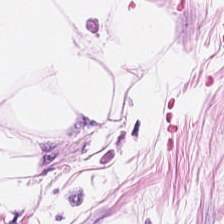Tissue type — adipose tissue.
